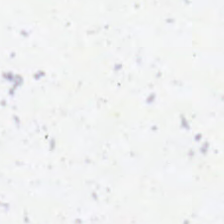Q: Classify this patch.
A: The field shows no tissue.
